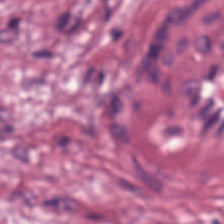H&E stain; whole-slide-image patch — Cancer-associated stroma.
